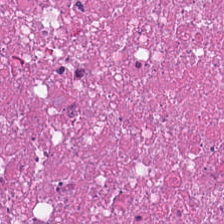224×224 pixel tile; H&E. Q: What tissue type is shown here?
A: This is cellular debris.
